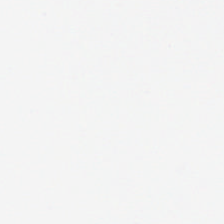0.5 µm per pixel; hematoxylin-and-eosin stained section. Q: What is shown in this field?
A: It is no tissue.
